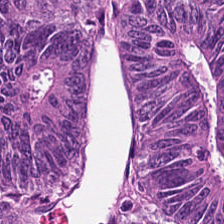Hematoxylin and eosin; 224×224 px patch — Q: What is the predominant tissue type?
A: It is colorectal adenocarcinoma epithelium.
